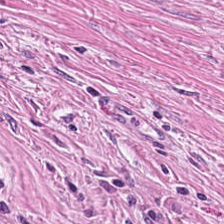Hematoxylin-and-eosin stained section.
Q: What is shown here?
A: It is tumor-associated stroma.
